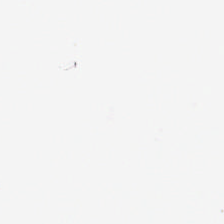Stain: H&E-stained tissue section.
Classification: background.
